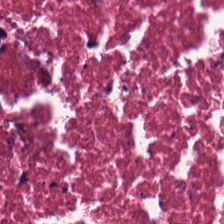Stain: H&E-stained tissue section.
Classification: cellular debris.
